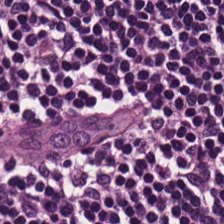Hematoxylin-and-eosin stained section · formalin-fixed paraffin-embedded section — Histology → lymphoid infiltrate.
